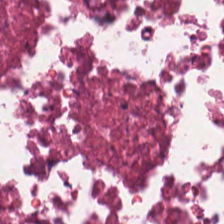Stain: hematoxylin-and-eosin stained section.
Acquisition: WSI patch.
Tissue type: debris.
